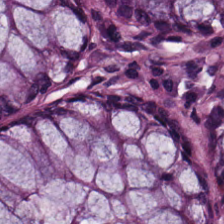Stain: hematoxylin and eosin.
Tissue class: benign colonic mucosa.
